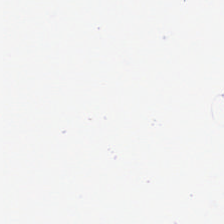224×224 pixel tile. FFPE. H&E. {"content": "background"}
